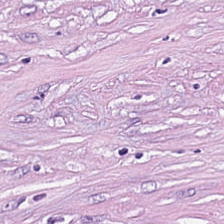Tissue type: tumor stroma.
